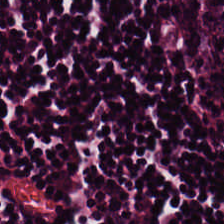The predominant tissue is lymphoid infiltrate.
